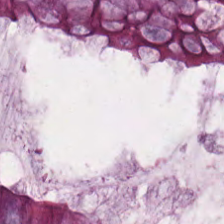Q: Classify this patch.
A: The field shows benign colonic mucosa.
